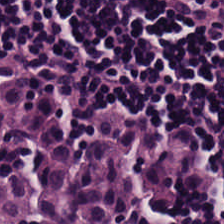Hematoxylin-and-eosin stained section — {"tissue_type": "lymphocyte aggregate"}
